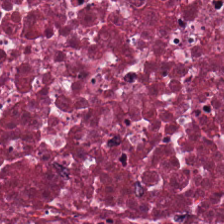Hematoxylin-and-eosin stained section.
Q: What does this patch show?
A: Cellular debris.
